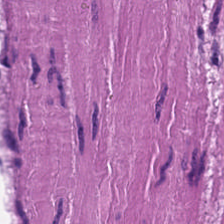H&E stain. Muscularis.
